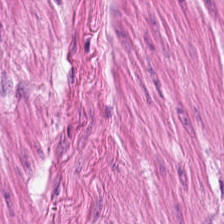H&E · WSI patch — Histology → smooth-muscle tissue.
